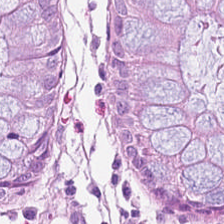20× equivalent magnification; H&E-stained tissue section. Predominant tissue: non-neoplastic colon mucosa.
